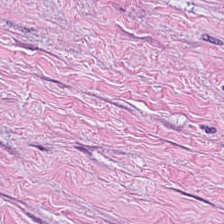H&E · brightfield · 20× equivalent magnification — The predominant tissue is tumor-associated stroma.
